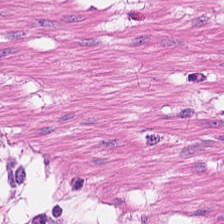H&E patch showing smooth-muscle tissue.
